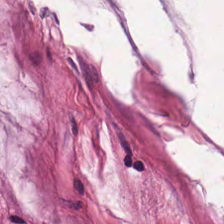This patch shows mucus.
